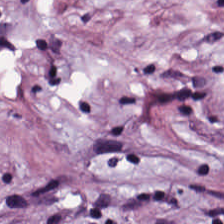Desmoplastic stroma.
